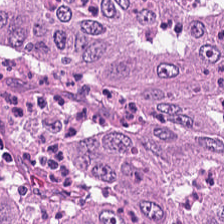H&E-stained tissue section — Tissue — colorectal adenocarcinoma.
